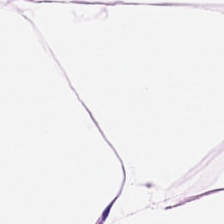WSI patch. 224×224 px tile. Hematoxylin-and-eosin stained section. The tissue is adipocytes.
